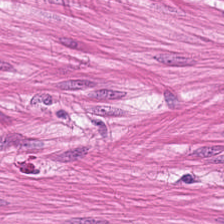H&E stain — Predominantly smooth-muscle tissue.
